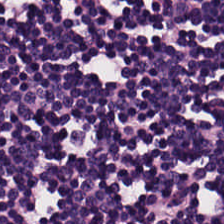H&E. 20× equivalent magnification — Q: What tissue is shown?
A: Lymphocytes.
